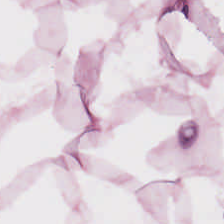FFPE; WSI patch; H&E stain — {"tissue_type": "adipose tissue"}
